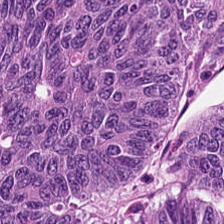Hematoxylin and eosin. 224×224 pixel tile — Impression → tumor epithelium.
